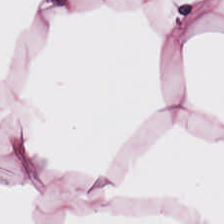Q: What is shown here?
A: It is adipose.
